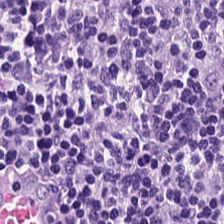FFPE · 0.5 microns per pixel · H&E-stained tissue section. Q: What does this patch show?
A: The field shows lymphocytic infiltrate.
